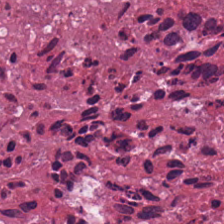Brightfield · 20× equivalent magnification · hematoxylin and eosin.
The predominant tissue is cellular debris.
